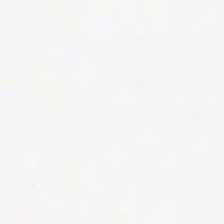Hematoxylin-and-eosin stained section.
This field is background (no tissue).
